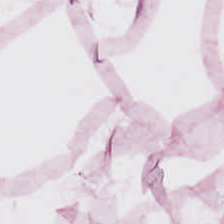H&E stain. 224×224 px tile — Histology — adipocytes.
